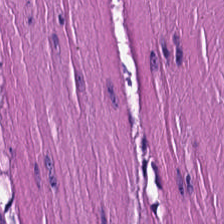Stain: hematoxylin and eosin.
Preparation: formalin-fixed paraffin-embedded section.
Predominant tissue: smooth-muscle tissue.
